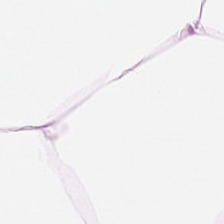H&E-stained tissue section · WSI patch. Classification = fat tissue.
